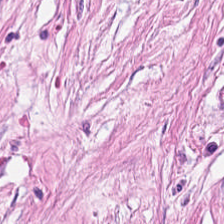Hematoxylin-and-eosin stained section.
Classification: cancer-associated stroma.
